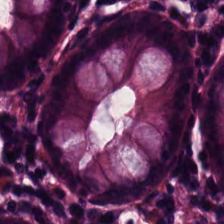Stain: H&E-stained tissue section.
Predominant tissue: non-neoplastic colon mucosa.
